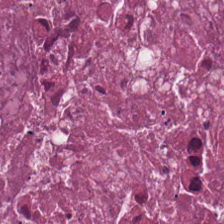Hematoxylin and eosin. Formalin-fixed paraffin-embedded section. 0.5 µm/px — The classification is necrotic debris.
